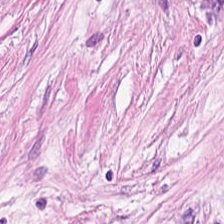This field is tumor-associated stroma.
